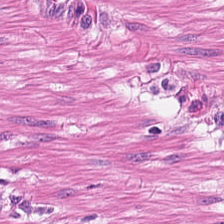H&E-stained tissue section. Whole-slide-image patch — The tissue class is muscularis.
